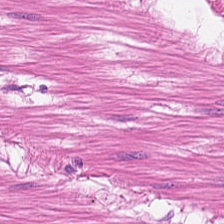Hematoxylin and eosin · brightfield microscopy · formalin-fixed paraffin-embedded section.
The predominant tissue is muscularis.
